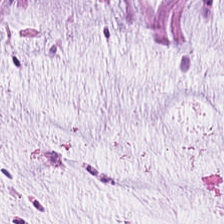Stain: hematoxylin-and-eosin stained section.
Tissue class: mucus.
